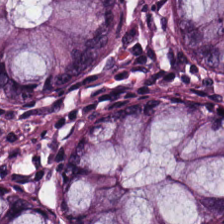Whole-slide-image patch · H&E — Q: Classify this patch.
A: It is non-neoplastic colon mucosa.
